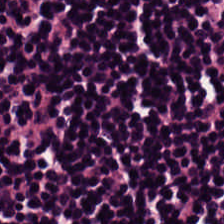Hematoxylin and eosin.
This field is lymphocytic infiltrate.
